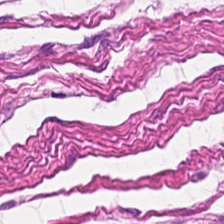H&E. The tissue class is smooth muscle.
